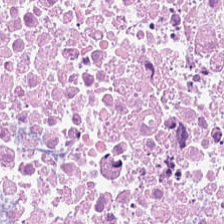224×224 pixel tile; hematoxylin-and-eosin stained section — {"tissue_type": "debris"}
